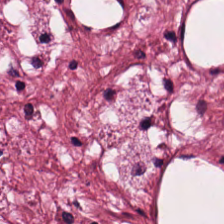The predominant tissue is cancer-associated stroma.
